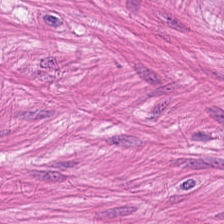Showing smooth-muscle tissue.
